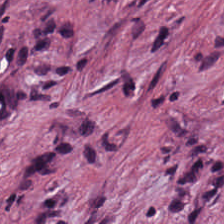Hematoxylin and eosin — This field is tumor-associated stroma.
